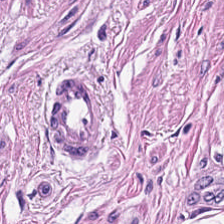Q: Identify the tissue.
A: This is smooth-muscle tissue.
